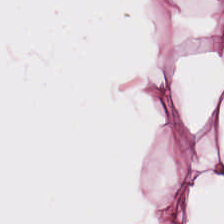H&E · 0.5 µm/px · WSI patch.
Tissue type: adipose.
